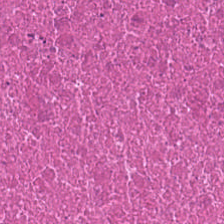H&E. Predominantly necrotic debris.
